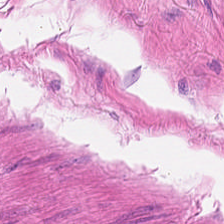Stain: H&E.
Tissue class: smooth-muscle tissue.
